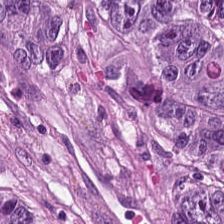H&E stain. Predominant tissue: tumor epithelium.
